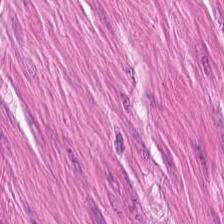H&E-stained tissue section · FFPE. Q: What is shown here?
A: This is muscularis.
